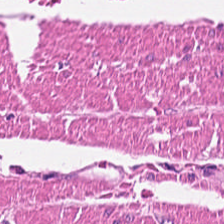Hematoxylin and eosin; FFPE; 0.5 µm per pixel.
Q: What type of tissue is this?
A: This is smooth muscle.
